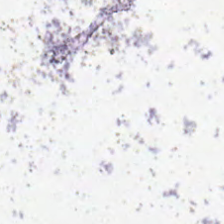Background (no tissue).
